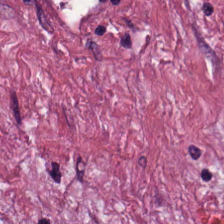{"tissue_type": "tumor-associated stroma"}
